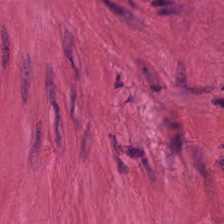H&E — Tissue type: muscularis.
